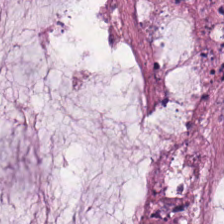H&E stain — Tissue type — mucin.
